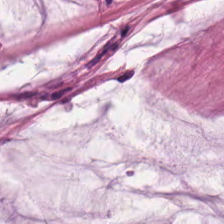H&E-stained tissue section · 224×224 px tile.
Q: Identify the tissue.
A: Mucus.
